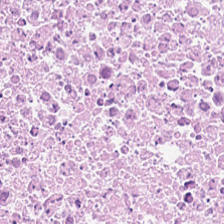H&E-stained tissue section.
Q: What tissue is shown?
A: It is necrotic debris.
